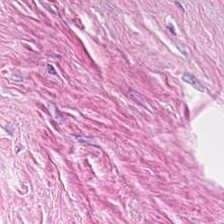Hematoxylin-and-eosin stained section · 0.5 µm per pixel.
Showing tumor stroma.
